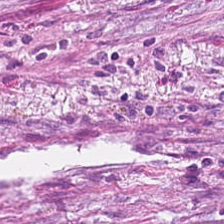Showing tumor-associated stroma.
